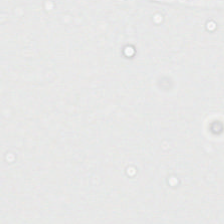Hematoxylin-and-eosin stained section · FFPE tissue section.
Q: What is shown in this field?
A: Background (no tissue).
